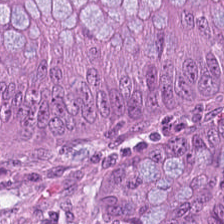Predominant tissue: malignant epithelium.
